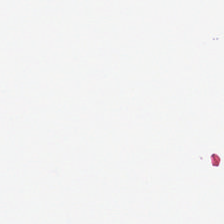Hematoxylin and eosin — Finding → background.
